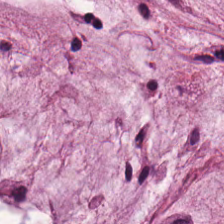H&E stain; FFPE tissue section. The tissue here is extracellular mucin.
